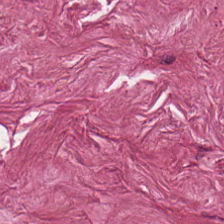Formalin-fixed paraffin-embedded section · WSI patch · hematoxylin-and-eosin stained section — This field is cancer-associated stroma.
